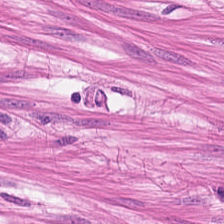Formalin-fixed paraffin-embedded section. 224×224 px tile. Hematoxylin-and-eosin stained section.
Impression → muscularis.
